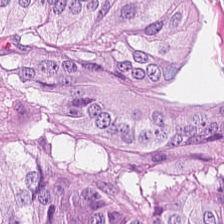20× equivalent magnification; hematoxylin-and-eosin stained section.
The tissue type is malignant epithelium.
